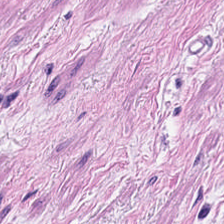Hematoxylin and eosin. This patch shows smooth-muscle tissue.
